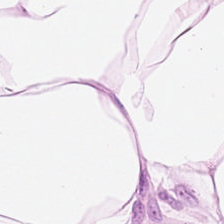Q: What does this patch show?
A: Fat tissue.
